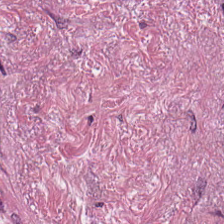Stain: H&E.
Tissue type: tumor-associated stroma.
